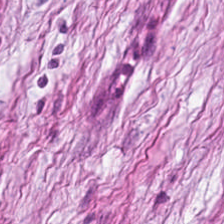Stain: H&E.
Predominant tissue: tumor-associated stroma.
